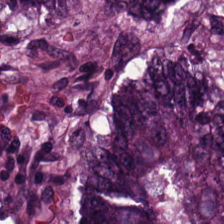H&E stain. The tissue here is malignant epithelium.
